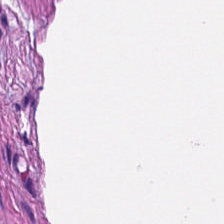Q: What is shown in this field?
A: This is muscularis.
